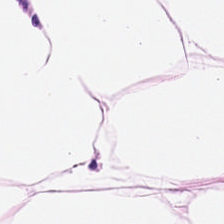This patch shows fat tissue.
